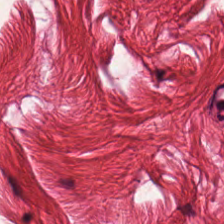H&E-stained tissue section; 224×224 px tile. Predominant tissue = muscularis.
